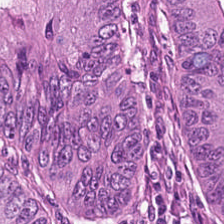Whole-slide-image patch; 0.5 µm/px; hematoxylin and eosin. {"tissue_type": "colorectal adenocarcinoma"}
